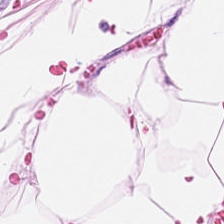The predominant tissue is fat tissue.
